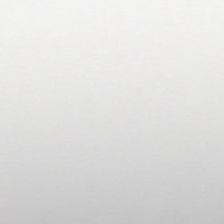0.5 µm/px · H&E-stained tissue section.
This field is background (no tissue).
